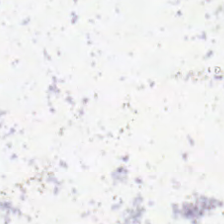H&E stain — No tissue present; background only.
